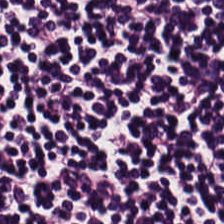{"tissue_type": "lymphocytes"}
